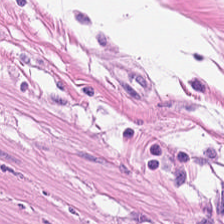Muscularis.
